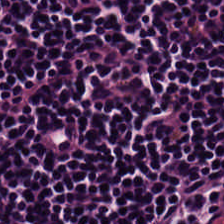H&E-stained tissue section. FFPE tissue section. Q: What type of tissue is this?
A: The field shows lymphocytes.
